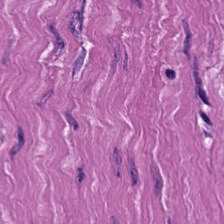224×224 px tile; 0.5 µm per pixel; H&E-stained tissue section. {"tissue_type": "muscularis"}
